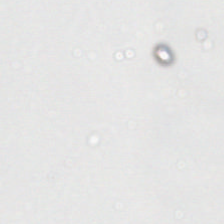H&E stain. This field is background (no tissue).
